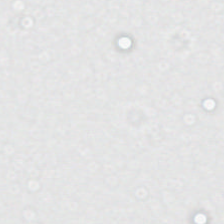Brightfield microscopy. 0.5 µm/px. Hematoxylin-and-eosin stained section — Empty background.
